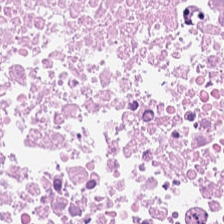Q: What tissue type is shown here?
A: It is necrotic debris.
